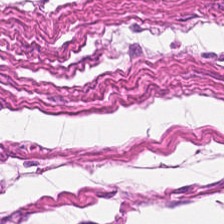Hematoxylin-and-eosin stained section. FFPE tissue section. 0.5 microns per pixel.
{"tissue_type": "smooth-muscle tissue"}
